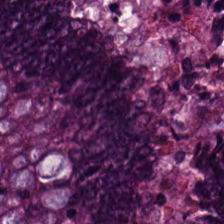Showing malignant epithelium.
